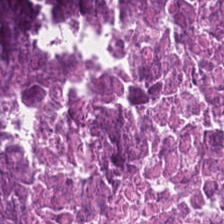Hematoxylin and eosin. 0.5 µm/px — Cellular debris.
